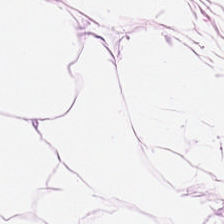The classification is fat tissue.
